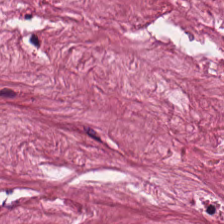H&E stain · FFPE tissue section.
The tissue here is desmoplastic stroma.
